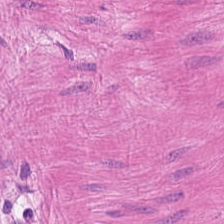Tissue — smooth-muscle tissue.
